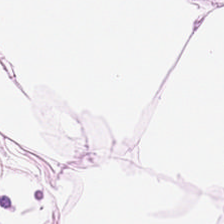H&E stain. Predominantly adipocytes.
